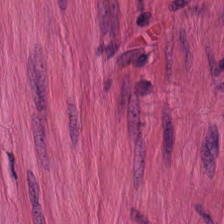Hematoxylin and eosin. Q: What is the predominant tissue type?
A: The field shows smooth-muscle tissue.
